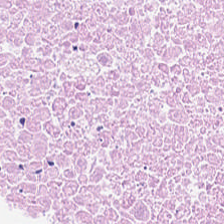Hematoxylin and eosin. WSI patch. Q: What type of tissue is this?
A: The field shows debris.
